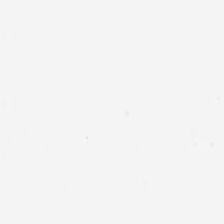Hematoxylin and eosin.
{"content": "no tissue"}
